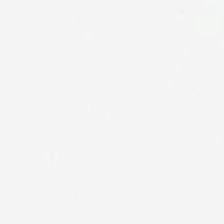0.5 microns per pixel; H&E stain.
Background — no tissue in this field.
